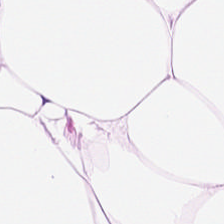H&E stain — Finding — fat tissue.
